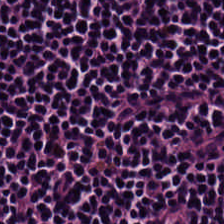Hematoxylin-and-eosin stained section · 0.5 microns per pixel · brightfield microscopy — Tissue type: lymphocytic infiltrate.
